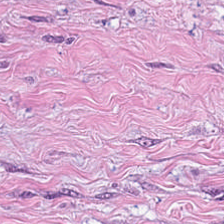H&E-stained tissue section — Q: What tissue is shown?
A: It is tumor-associated stroma.
